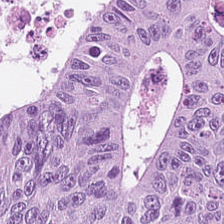Hematoxylin and eosin. FFPE. 224×224 px patch — Q: What does this patch show?
A: It is colorectal adenocarcinoma.
